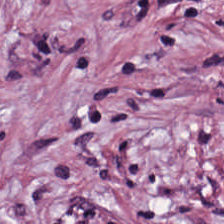This field is cancer-associated stroma.
